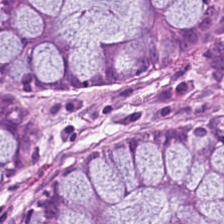H&E stain — Predominantly benign colonic mucosa.
